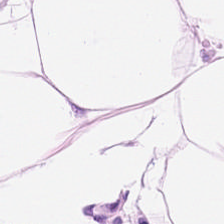The tissue here is adipose.
